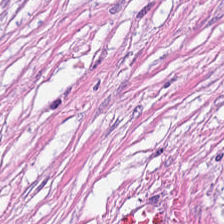224×224 px tile · hematoxylin and eosin · WSI patch — The predominant tissue is cancer-associated stroma.
